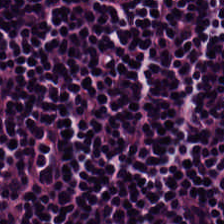Stain: H&E stain.
Acquisition: brightfield.
Tile size: 224×224 px patch.
Classification: lymphocytes.
